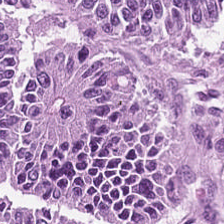H&E-stained tissue section — The tissue here is colorectal adenocarcinoma.
